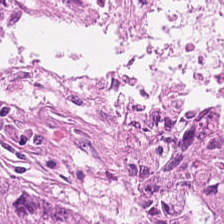Hematoxylin and eosin.
Tissue: colorectal adenocarcinoma.
